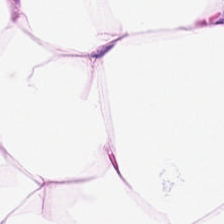Hematoxylin and eosin; 224×224 pixel tile; brightfield.
Tissue class: adipose tissue.
